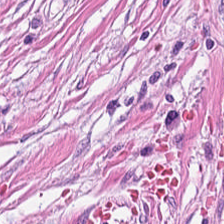H&E.
Predominant tissue: desmoplastic stroma.
